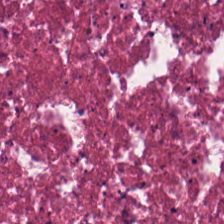H&E · FFPE · 224×224 px patch. This field is necrotic debris.
